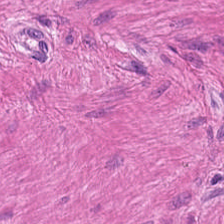H&E stain. {"tissue_type": "smooth-muscle tissue"}
